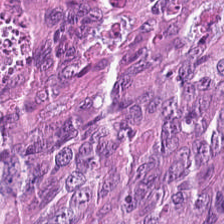Whole-slide-image patch; H&E. The predominant tissue is adenocarcinoma.
